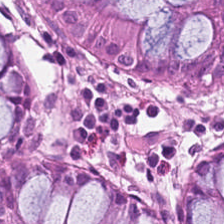Hematoxylin-and-eosin section: normal colon mucosa.
